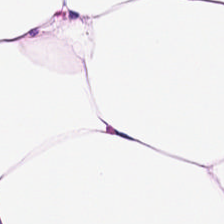Stain: H&E-stained tissue section.
Tissue type: adipocytes.
